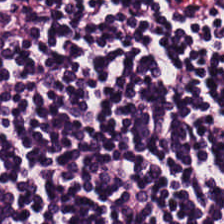Finding → lymphocytes.
